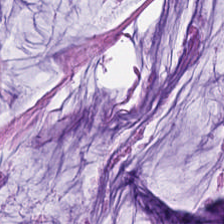Stain: hematoxylin-and-eosin stained section.
Predominant tissue: extracellular mucin.
